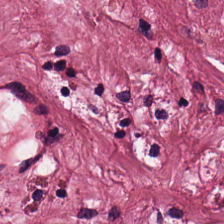Hematoxylin-and-eosin stained section. Predominantly tumor stroma.
